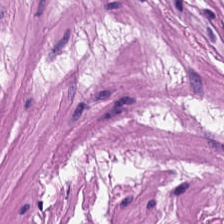WSI patch. Hematoxylin and eosin. FFPE tissue section.
{"tissue_type": "smooth-muscle tissue"}
